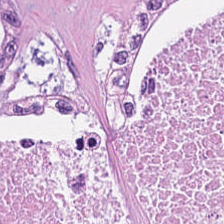Tissue class = necrotic debris.
